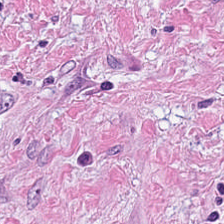H&E.
This patch shows desmoplastic stroma.
